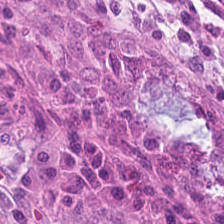H&E. Showing non-neoplastic colon mucosa.
